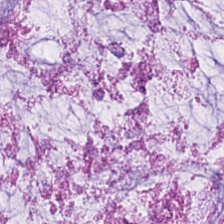H&E stain — Showing mucus.
